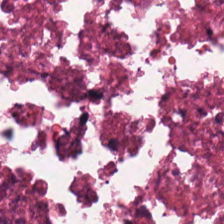Hematoxylin and eosin. Whole-slide-image patch. Showing necrotic debris.
